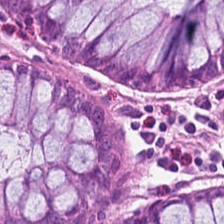Tissue — benign colonic mucosa.
